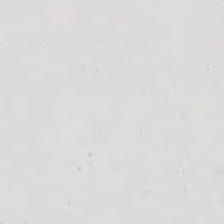H&E.
Q: What is shown in this field?
A: No tissue.
